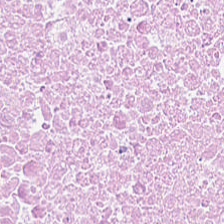Hematoxylin-and-eosin stained section. Histology → debris.
